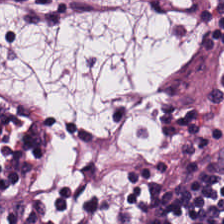H&E-stained tissue section. 20× equivalent magnification.
Tissue type — lymphocyte aggregate.
